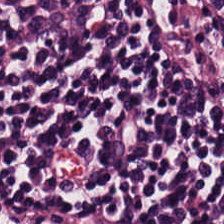H&E; 224×224 pixel tile; brightfield — Q: What is shown in this field?
A: It is lymphocytic infiltrate.
